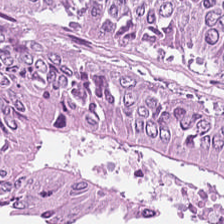Hematoxylin-and-eosin stained section — Q: Classify this patch.
A: It is colorectal adenocarcinoma epithelium.
